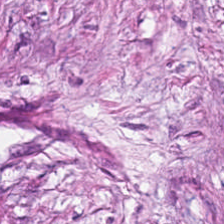H&E — Tumor-associated stroma.
